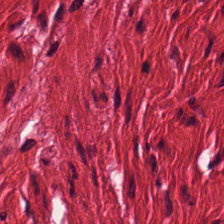Hematoxylin and eosin; formalin-fixed paraffin-embedded section — Impression — smooth muscle.
